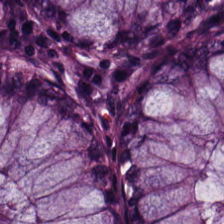Q: Identify the tissue.
A: Benign colonic mucosa.
